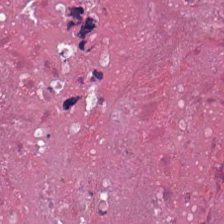H&E stain.
The tissue is cellular debris.
